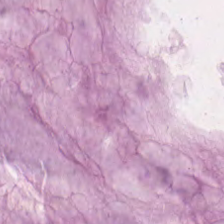Stain: H&E.
Tile size: 224×224 px patch.
Tissue type: mucus.
